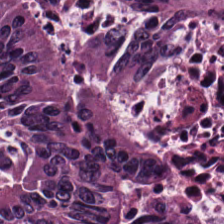0.5 microns per pixel · H&E stain.
This field is colorectal adenocarcinoma epithelium.
